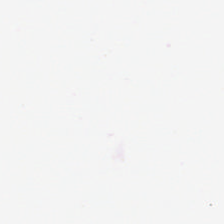Hematoxylin and eosin — Finding → background (no tissue).
